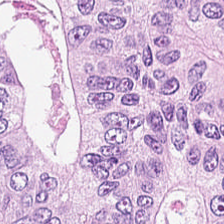224×224 px tile; H&E; 20× equivalent magnification — Showing malignant epithelium.
